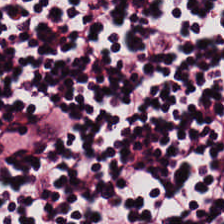FFPE tissue section · 224×224 px patch · H&E. The tissue here is lymphocytes.
